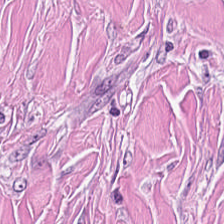H&E.
The predominant tissue is cancer-associated stroma.
